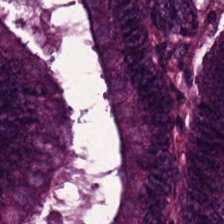H&E stain; 0.5 µm/px.
The tissue type is tumor epithelium.
